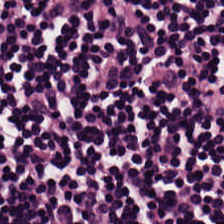H&E — Lymphocyte aggregate.
